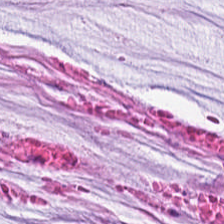H&E-stained tissue section. Brightfield.
Tissue class — mucus.
